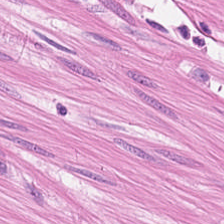WSI patch; 224×224 px patch; hematoxylin and eosin.
Q: What tissue is shown?
A: Muscularis.
